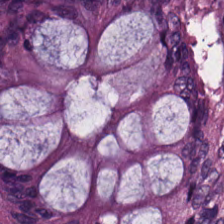FFPE; hematoxylin and eosin. This field is normal colonic mucosa.
